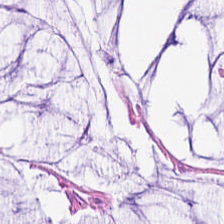20× equivalent magnification; H&E-stained tissue section — This field is mucin.
